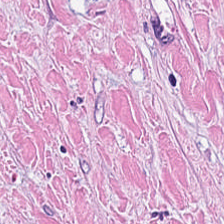Predominant tissue: tumor-associated stroma.
